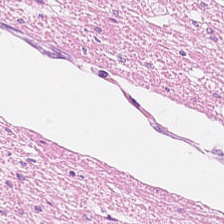Hematoxylin and eosin · FFPE.
Q: Identify the tissue.
A: It is smooth muscle.
